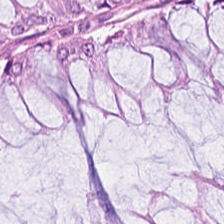The tissue class is normal colon mucosa.
